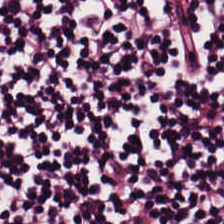H&E — Impression — lymphocytic infiltrate.
